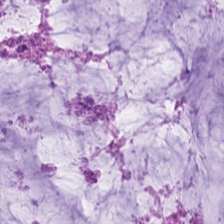H&E-stained tissue section · brightfield — Tissue class: mucus.
